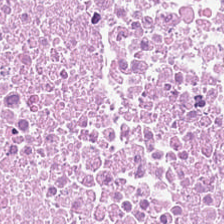Hematoxylin and eosin.
{"tissue_type": "cellular debris"}
